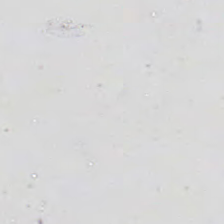FFPE tissue section · H&E. Field content = no tissue.
